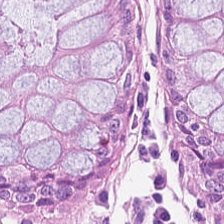Hematoxylin and eosin · whole-slide-image patch.
This patch shows benign colonic mucosa.
